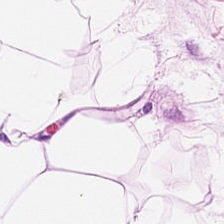0.5 microns per pixel. H&E-stained tissue section — {"tissue_type": "adipose tissue"}
